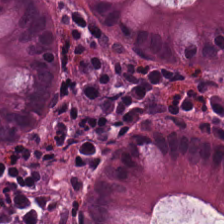Q: Classify this patch.
A: This is normal colon mucosa.
